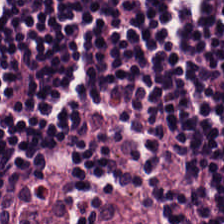224×224 px tile; H&E-stained tissue section; whole-slide-image patch. Finding → lymphocyte aggregate.
